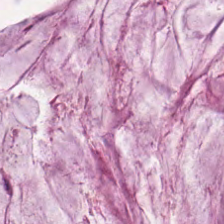0.5 µm per pixel. H&E-stained tissue section. FFPE tissue section.
Q: What does this patch show?
A: Mucus.
